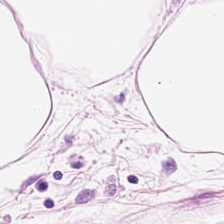0.5 microns per pixel. Hematoxylin and eosin. Formalin-fixed paraffin-embedded section — Tissue class = adipose tissue.
